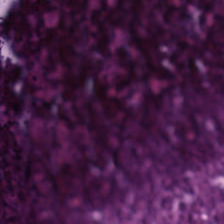H&E stain — This field is necrotic debris.
